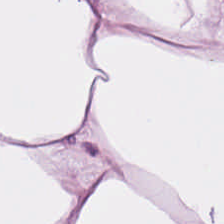Hematoxylin-and-eosin stained section; brightfield.
The classification is fat tissue.
